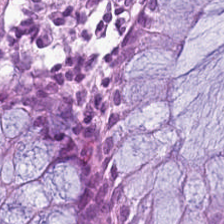Tissue type: normal colon mucosa.
